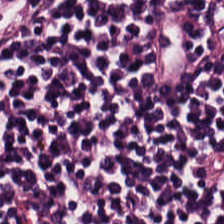Brightfield · hematoxylin-and-eosin stained section · FFPE tissue section. Predominantly lymphoid infiltrate.
